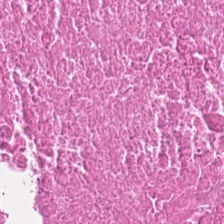224×224 px tile; H&E-stained tissue section — The predominant tissue is necrotic debris.
